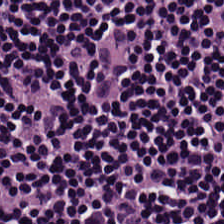{"tissue_type": "lymphocytic infiltrate"}
